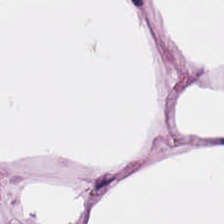H&E-stained tissue section — The tissue here is adipocytes.
